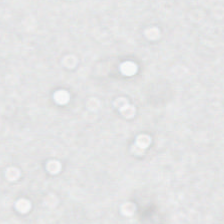H&E stain.
This patch shows background (no tissue).
